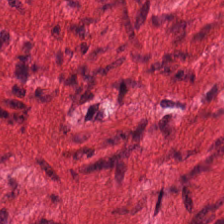20× equivalent magnification · hematoxylin-and-eosin stained section.
Classification = muscularis.
